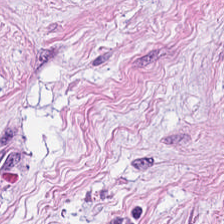Q: What is the predominant tissue type?
A: Cancer-associated stroma.
